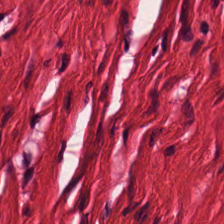Stain: H&E stain.
Classification: smooth-muscle tissue.
